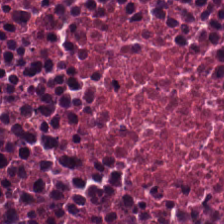H&E-stained tissue section — Tissue class = debris.
